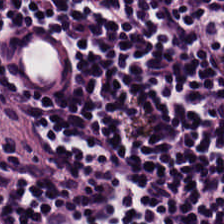H&E-stained tissue section · FFPE tissue section · whole-slide-image patch. Showing lymphocytes.
